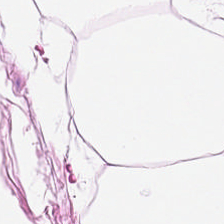Tissue class = fat tissue.
